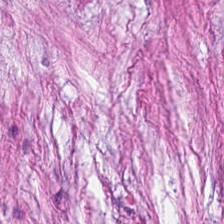0.5 µm per pixel. H&E stain — {"tissue_type": "cancer-associated stroma"}
